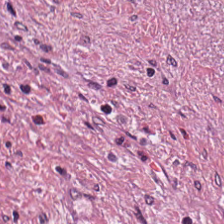Brightfield microscopy; 224×224 pixel tile; H&E stain — Histology — tumor-associated stroma.
